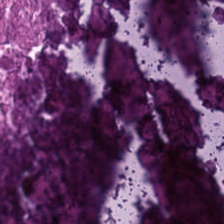The predominant tissue is cellular debris.
